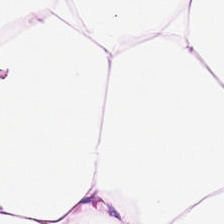224×224 px patch · 0.5 µm per pixel · H&E — {"tissue_type": "adipose tissue"}
